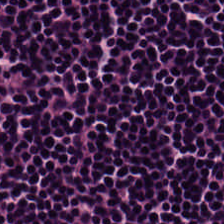Hematoxylin-and-eosin stained section — Predominant tissue: lymphocyte aggregate.
